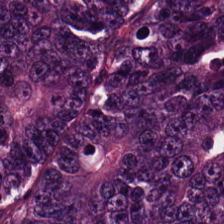Stain: H&E stain.
Predominant tissue: colorectal adenocarcinoma.
